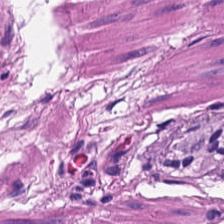224×224 px patch. H&E-stained tissue section. WSI patch — Impression — muscularis.
